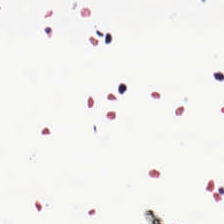Hematoxylin and eosin.
Q: What does this patch show?
A: This is background (no tissue).
